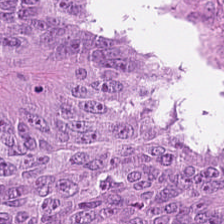Histology → adenocarcinoma.
